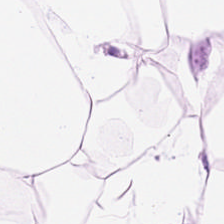H&E. Q: Classify this patch.
A: It is adipose.
